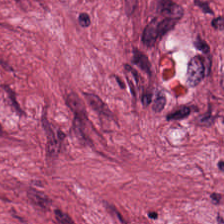0.5 µm/px · FFPE tissue section · H&E-stained tissue section — This patch shows tumor-associated stroma.
